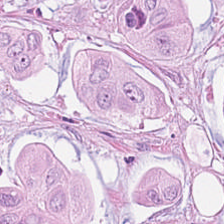H&E. Impression → colorectal adenocarcinoma.
